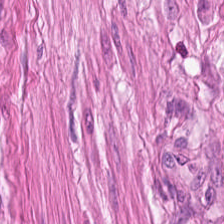H&E-stained tissue section. The classification is smooth-muscle tissue.
